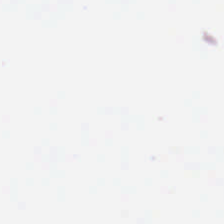H&E · FFPE tissue section.
Content: no tissue.
